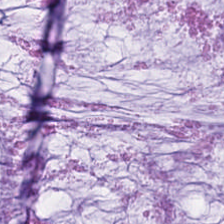H&E stain · formalin-fixed paraffin-embedded section — The tissue class is mucin.
